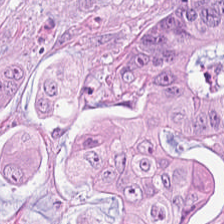H&E stain. Showing adenocarcinoma.
